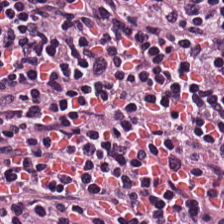0.5 microns per pixel. Hematoxylin-and-eosin stained section. Q: What does this patch show?
A: This is lymphocytic infiltrate.
